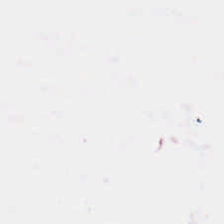224×224 px patch. Hematoxylin and eosin. This patch shows background.
